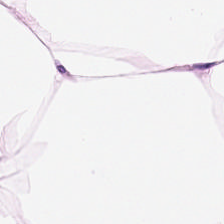224×224 px patch; hematoxylin-and-eosin stained section; 20× equivalent magnification — The predominant tissue is adipose.
